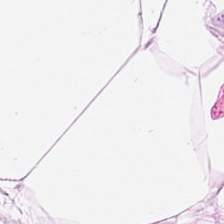WSI patch; FFPE tissue section; hematoxylin-and-eosin stained section. The classification is adipocytes.
